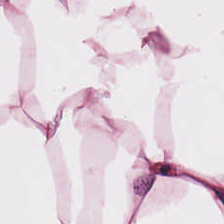Brightfield microscopy; 224×224 px patch; H&E stain. {"tissue_type": "fat tissue"}
